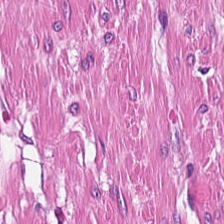H&E — Histology → muscularis.
